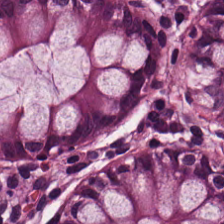H&E stain.
Predominantly benign colonic mucosa.
